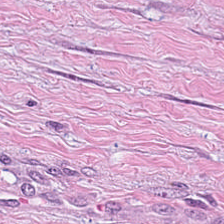FFPE tissue section · hematoxylin and eosin · 0.5 µm per pixel. Tissue type: cancer-associated stroma.
